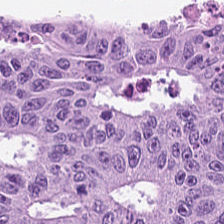Whole-slide-image patch · H&E stain — Showing malignant epithelium.
